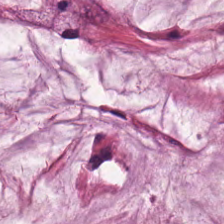H&E-stained tissue section. Histology → mucin.
